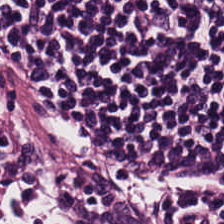Stain: hematoxylin-and-eosin stained section.
Tissue class: lymphocyte aggregate.
